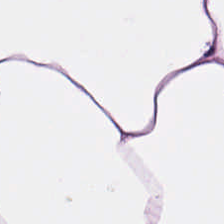0.5 microns per pixel · H&E stain. The predominant tissue is adipose.
